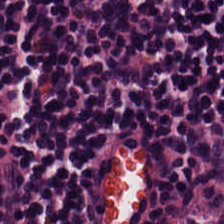Q: What is shown here?
A: Lymphocyte aggregate.
